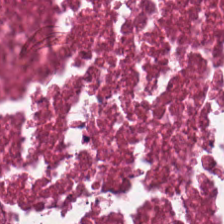Q: What type of tissue is this?
A: The field shows debris.
